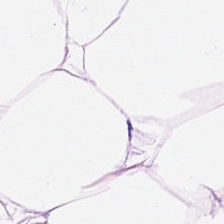H&E · formalin-fixed paraffin-embedded section.
The tissue class is adipose tissue.
